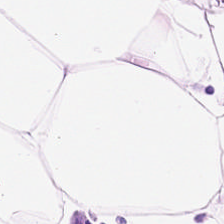Q: What tissue type is shown here?
A: This is adipocytes.
